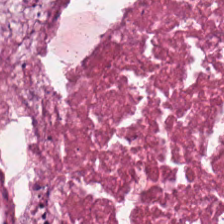H&E. FFPE tissue section — Tissue class: debris.
